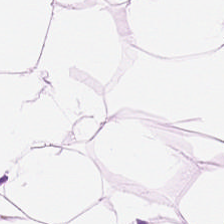Hematoxylin and eosin. Adipocytes.
